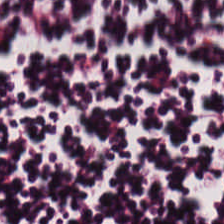Hematoxylin-and-eosin stained section — The tissue here is lymphocytic infiltrate.
